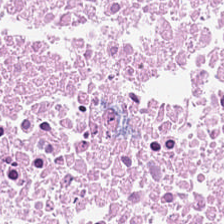Q: What is the predominant tissue type?
A: Cellular debris.
